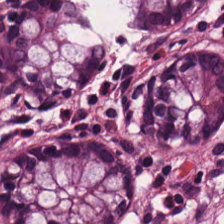Hematoxylin-and-eosin stained section. Tissue type = normal colon mucosa.
